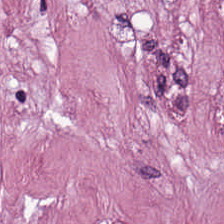The classification is tumor-associated stroma.
